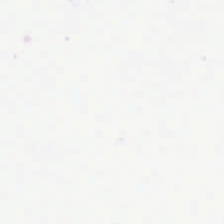Stain: hematoxylin-and-eosin stained section.
Content: no tissue.
